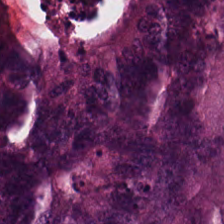H&E.
Showing malignant epithelium.
